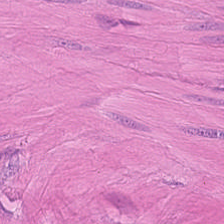Stain: H&E-stained tissue section.
Tissue type: muscularis.
